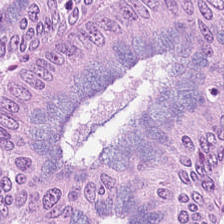H&E-stained tissue section.
Q: What is the predominant tissue type?
A: This is tumor epithelium.
